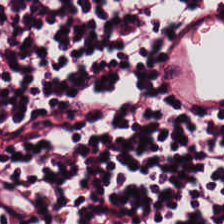H&E. This field is lymphocyte aggregate.
